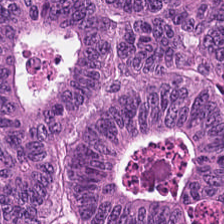Hematoxylin-and-eosin stained section.
This field is adenocarcinoma.
